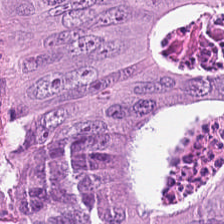The predominant tissue is colorectal adenocarcinoma.
